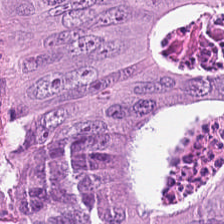The predominant tissue is colorectal adenocarcinoma.
